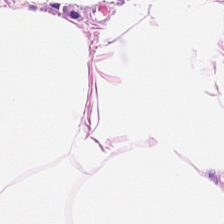224×224 pixel tile; FFPE tissue section; H&E-stained tissue section.
{"tissue_type": "adipose tissue"}
